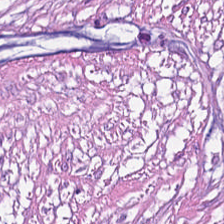Whole-slide-image patch. H&E. Q: What is shown here?
A: This is cancer-associated stroma.
